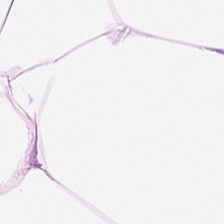Hematoxylin-and-eosin stained section · brightfield · 0.5 µm per pixel — {"tissue_type": "fat tissue"}
